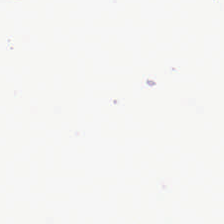H&E. Q: Classify this patch.
A: Empty background.
